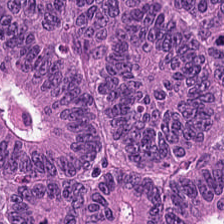0.5 microns per pixel. H&E stain. FFPE. Q: What tissue is shown?
A: The field shows colorectal adenocarcinoma epithelium.
